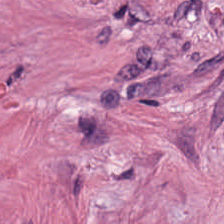H&E stain.
Tissue class: desmoplastic stroma.
